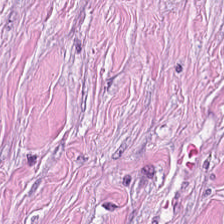H&E-stained tissue section — Tissue: cancer-associated stroma.
